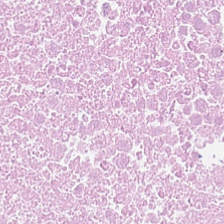H&E stain — The tissue here is necrotic debris.
